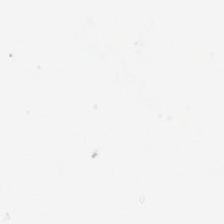H&E-stained tissue section; 224×224 px patch. The field content is background (no tissue).
